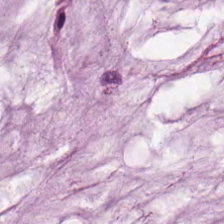FFPE. H&E.
Predominantly extracellular mucin.
